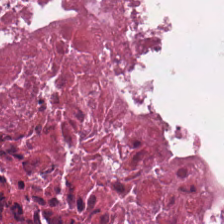Necrotic debris.
